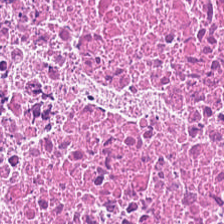Q: What tissue type is shown here?
A: It is necrotic debris.
